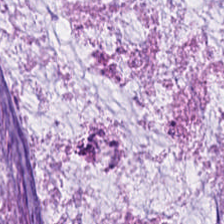Stain: H&E stain.
Tissue: mucus.
